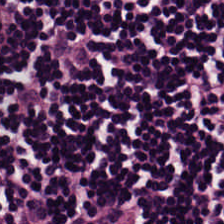224×224 px patch. Hematoxylin-and-eosin stained section. WSI patch — Showing lymphocytic infiltrate.
